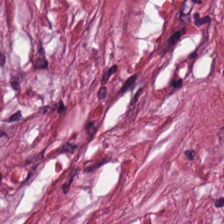Desmoplastic stroma.
